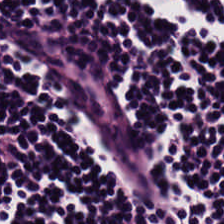Hematoxylin-and-eosin stained section; whole-slide-image patch.
Tissue class: lymphocyte aggregate.
